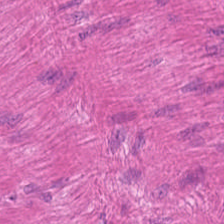Finding — smooth-muscle tissue.
